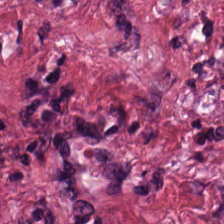Formalin-fixed paraffin-embedded section; 224×224 pixel tile; H&E stain. {"tissue_type": "tumor-associated stroma"}
